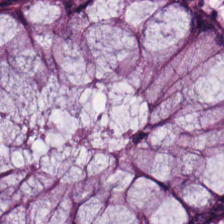Hematoxylin-and-eosin stained section. {"tissue_type": "benign colonic mucosa"}
